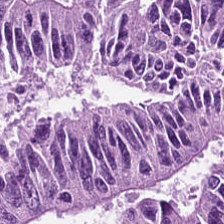Brightfield microscopy · hematoxylin and eosin · FFPE tissue section.
Colorectal adenocarcinoma epithelium.
